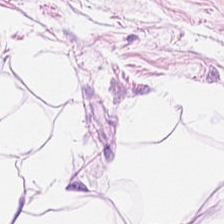H&E-stained tissue section. This patch shows adipocytes.
